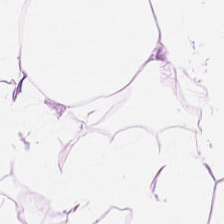224×224 pixel tile; H&E stain; FFPE tissue section — Q: What does this patch show?
A: It is adipose tissue.
